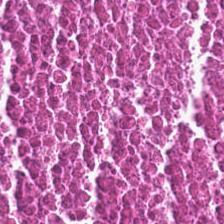Debris.
